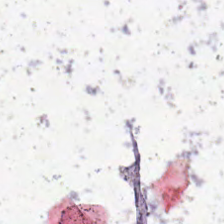FFPE; H&E stain. Classification — background.
